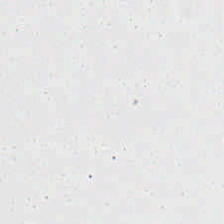H&E stain. 20× equivalent magnification. Impression → background (no tissue).
